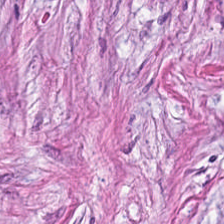H&E stain.
Desmoplastic stroma.
